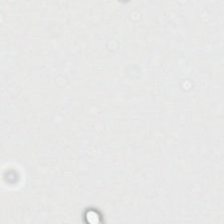H&E stain.
Empty background.
